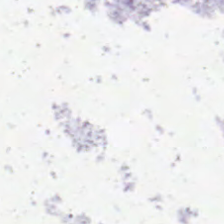Q: What is shown in this field?
A: This is no tissue.
